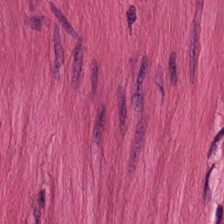Tissue = smooth-muscle tissue.
